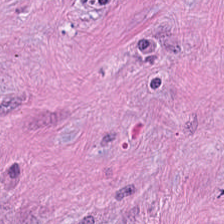H&E. Q: What tissue type is shown here?
A: It is tumor-associated stroma.
